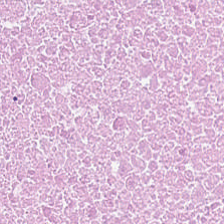Formalin-fixed paraffin-embedded section; H&E-stained tissue section — The tissue type is cellular debris.
